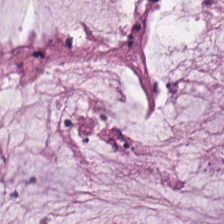Stain: hematoxylin-and-eosin stained section.
Preparation: FFPE tissue section.
Tissue class: extracellular mucin.
